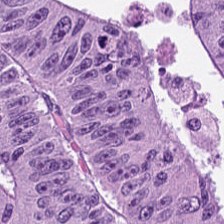Hematoxylin and eosin; FFPE; whole-slide-image patch. Tissue — malignant epithelium.
